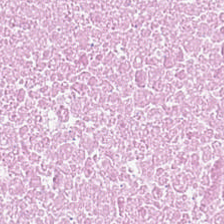Predominantly debris.
